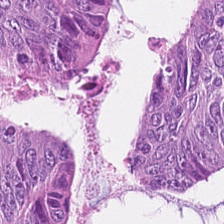Colorectal adenocarcinoma epithelium.
